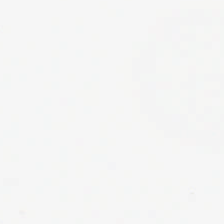Hematoxylin-and-eosin stained section; brightfield.
Q: What does this patch show?
A: This is background (no tissue).
